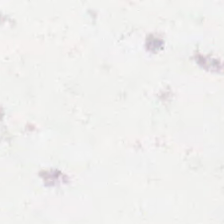224×224 px patch. Hematoxylin-and-eosin stained section — Q: What does this patch show?
A: No tissue.
